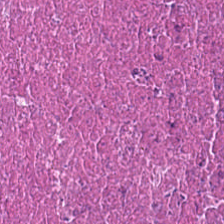Hematoxylin-and-eosin stained section — Showing cellular debris.
